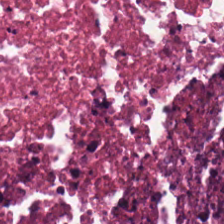This field is necrotic debris.
